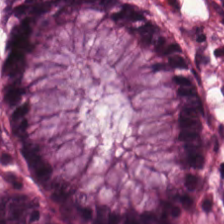Finding → normal colonic mucosa.
